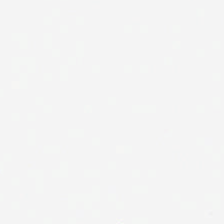Hematoxylin and eosin — Classification = background.
